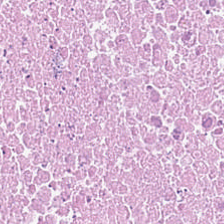Hematoxylin-and-eosin stained section — Tissue = debris.
